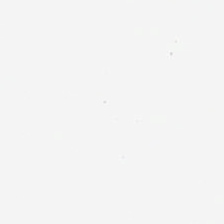Background (no tissue).
